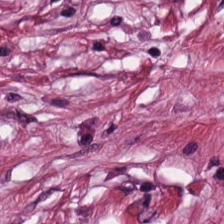Stain: H&E stain.
Resolution: 0.5 microns per pixel.
Tissue: cancer-associated stroma.
